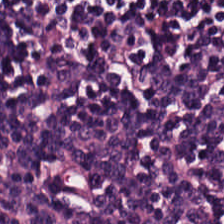Hematoxylin-and-eosin stained section.
This patch shows lymphocytes.
